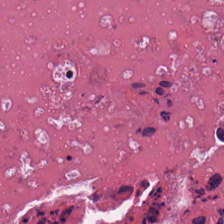H&E-stained tissue section. The predominant tissue is debris.
